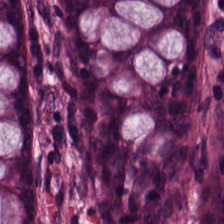224×224 px patch; hematoxylin and eosin.
The predominant tissue is non-neoplastic colon mucosa.
